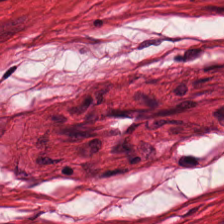H&E stain. Q: Classify this patch.
A: Muscularis.
